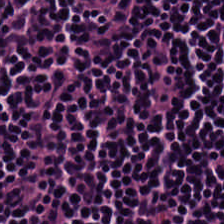H&E — Predominantly lymphoid infiltrate.
